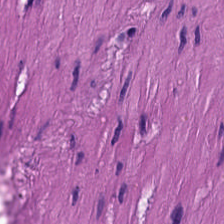Hematoxylin and eosin.
{"tissue_type": "muscularis"}
